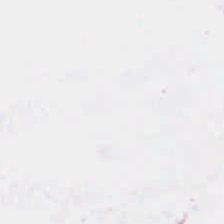This field is background (no tissue).
